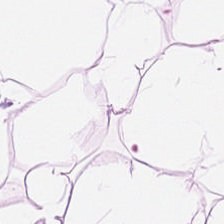Predominantly adipose.
